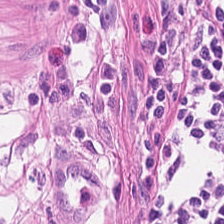H&E patch showing smooth-muscle tissue.
